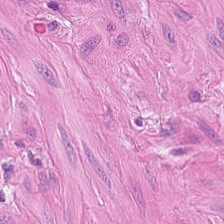H&E. Tissue class — smooth muscle.
